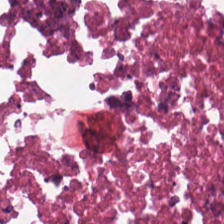Impression → debris.
